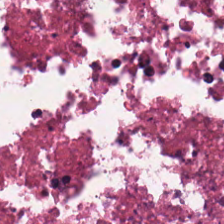H&E — The predominant tissue is cellular debris.
